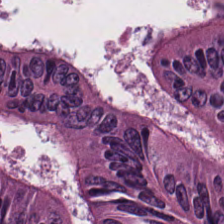H&E stain · 0.5 µm/px — This field is colorectal adenocarcinoma epithelium.
